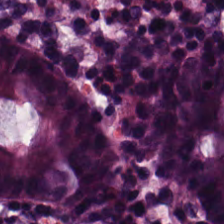Hematoxylin-and-eosin stained section. Tissue class = normal colon mucosa.
